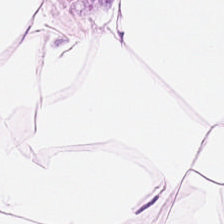H&E.
Predominantly adipose tissue.
